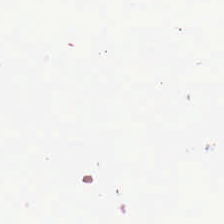H&E. Q: What does this patch show?
A: The field shows no tissue.
